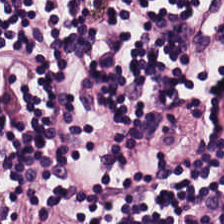Brightfield microscopy · hematoxylin and eosin. Q: What tissue is shown?
A: It is lymphocytes.
